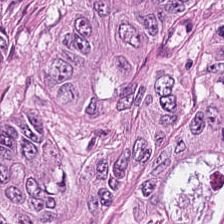H&E-stained tissue section. Q: What is the predominant tissue type?
A: Malignant epithelium.
